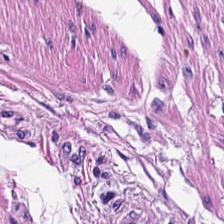Showing smooth-muscle tissue.
